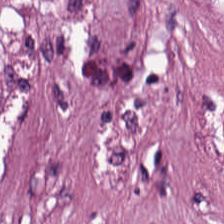H&E-stained tissue section. The tissue class is tumor stroma.
